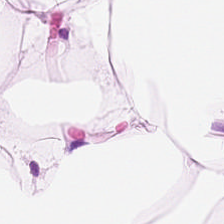WSI patch; hematoxylin-and-eosin stained section; 0.5 microns per pixel — Adipose tissue.
